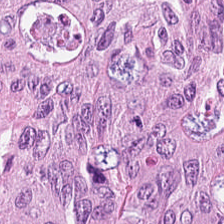Histology → malignant epithelium.
